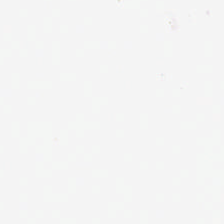Hematoxylin and eosin; 224×224 pixel tile. {"content": "no tissue"}
